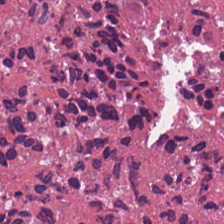Hematoxylin and eosin · FFPE.
The tissue here is cellular debris.
